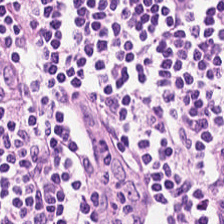FFPE. Hematoxylin-and-eosin stained section. 0.5 microns per pixel — Impression → lymphocytic infiltrate.
